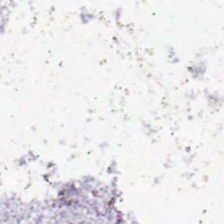No tissue present; background only.
